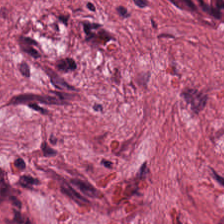{"tissue_type": "cancer-associated stroma"}
